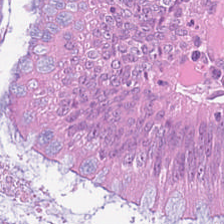FFPE tissue section. H&E stain. 224×224 pixel tile. Finding → tumor epithelium.
